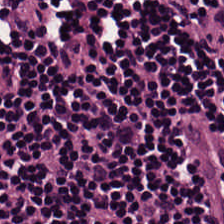H&E stain. {"tissue_type": "lymphocytic infiltrate"}
